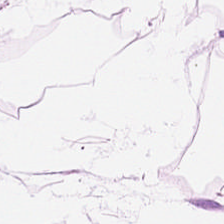H&E-stained tissue section.
The tissue type is adipocytes.
